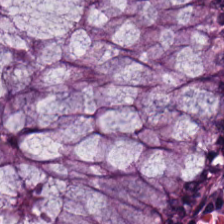Hematoxylin and eosin — Classification — non-neoplastic colon mucosa.
